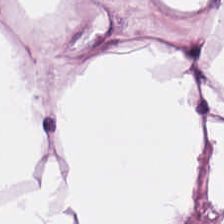Q: What is shown here?
A: This is fat tissue.
